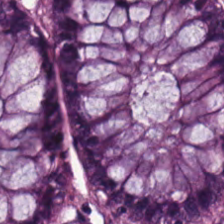Showing normal colon mucosa.
